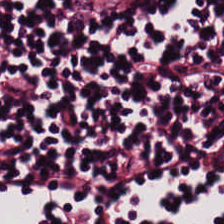H&E stain.
The tissue is lymphocyte aggregate.
